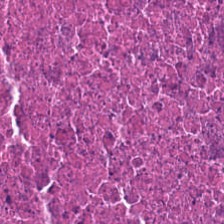H&E-stained tissue section.
This patch shows debris.
